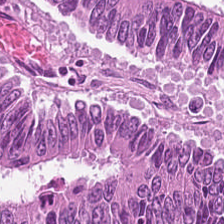Stain: hematoxylin-and-eosin stained section.
Resolution: 0.5 microns per pixel.
Tissue class: adenocarcinoma.
